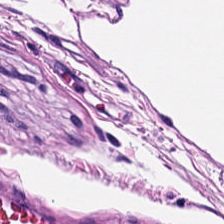Stain: H&E stain.
Resolution: 0.5 µm per pixel.
Acquisition: brightfield microscopy.
Predominant tissue: muscularis.
